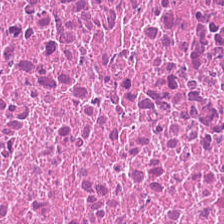224×224 pixel tile · brightfield · hematoxylin and eosin. Cellular debris.
